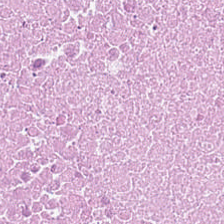Stain: hematoxylin and eosin.
Tissue type: debris.
